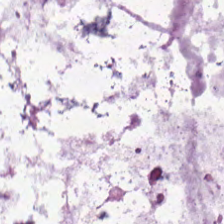H&E-stained tissue section.
The tissue class is mucin.
